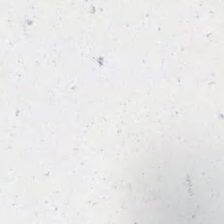Stain: hematoxylin and eosin.
Tile size: 224×224 px patch.
Preparation: FFPE.
Classification: empty background.
